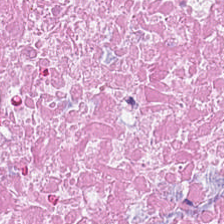H&E. Tissue — cellular debris.
